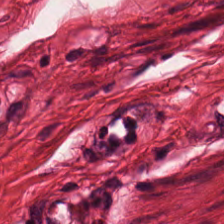Stain: H&E stain.
Acquisition: whole-slide-image patch.
Classification: smooth-muscle tissue.
